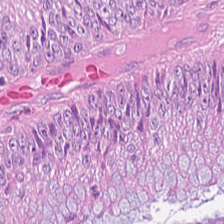Hematoxylin-and-eosin stained section · 224×224 pixel tile · brightfield microscopy. The predominant tissue is malignant epithelium.
